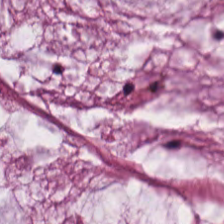Hematoxylin-and-eosin stained section; 0.5 microns per pixel; 224×224 px patch. Finding → mucus.
